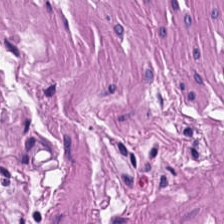Stain: H&E.
Tissue class: smooth muscle.
